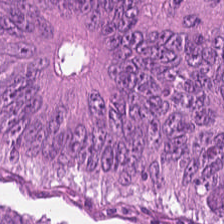Q: What is the predominant tissue type?
A: Colorectal adenocarcinoma epithelium.
